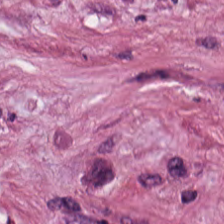H&E.
The predominant tissue is tumor stroma.
